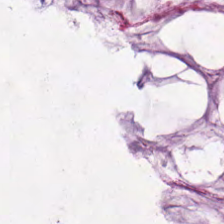Hematoxylin-and-eosin stained section.
Q: What is the predominant tissue type?
A: It is extracellular mucin.
